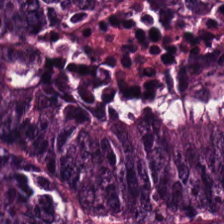Hematoxylin and eosin.
Q: What is shown in this field?
A: The field shows tumor epithelium.
